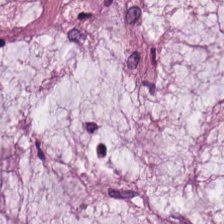H&E — The predominant tissue is mucus.
